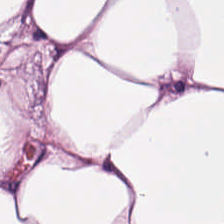Impression → adipose.
